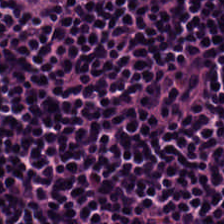Lymphocytic infiltrate.
